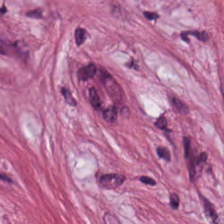Formalin-fixed paraffin-embedded section. H&E stain.
Tissue class — cancer-associated stroma.
